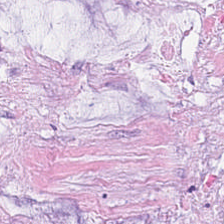Formalin-fixed paraffin-embedded section; H&E stain. Predominantly mucin.
